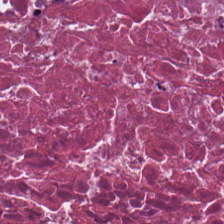The tissue is cellular debris.
